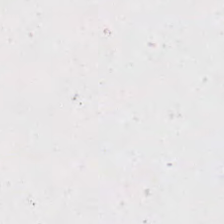Hematoxylin-and-eosin stained section; 0.5 µm/px. This patch shows background (no tissue).
